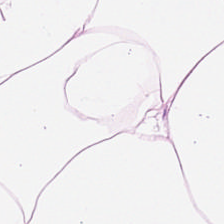This field is adipose tissue.
